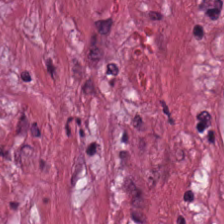H&E. The predominant tissue is desmoplastic stroma.
